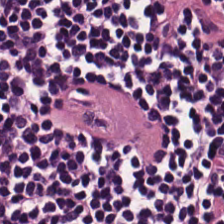H&E-stained tissue section.
Predominantly lymphocyte aggregate.
